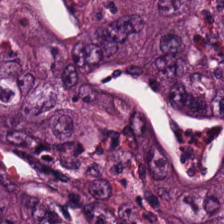Tissue class — adenocarcinoma.
